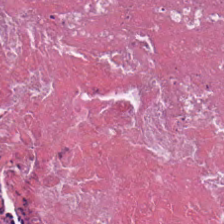Q: What is shown here?
A: Debris.
